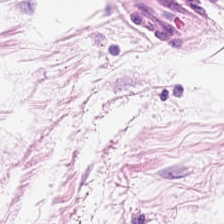H&E-stained tissue section. Whole-slide-image patch. 20× equivalent magnification — Predominant tissue — adipocytes.
